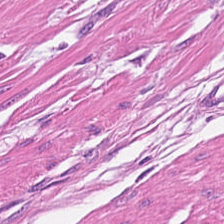Stain: hematoxylin-and-eosin stained section.
Tissue class: muscularis.
